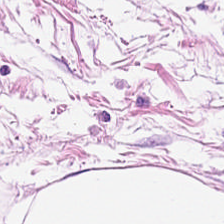Tissue class — fat tissue.
